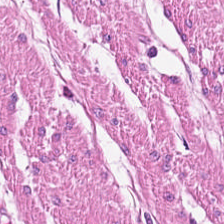0.5 microns per pixel · 224×224 px tile · H&E stain — Predominantly muscularis.
